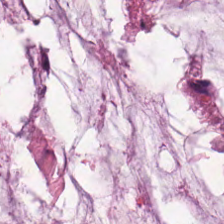Whole-slide-image patch · hematoxylin-and-eosin stained section. The tissue here is extracellular mucin.
